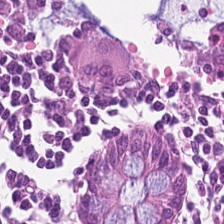Formalin-fixed paraffin-embedded section. Hematoxylin and eosin.
The tissue class is non-neoplastic colon mucosa.
